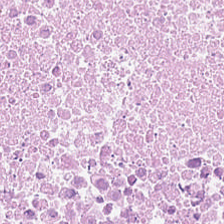The predominant tissue is necrotic debris.
